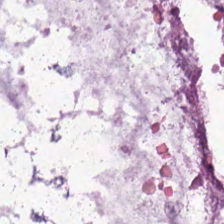H&E stain.
Mucus.
